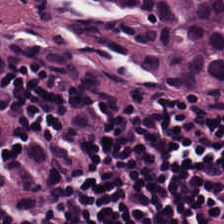Stain: H&E-stained tissue section.
Tile size: 224×224 pixel tile.
Predominant tissue: lymphocyte aggregate.
